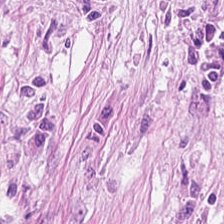Stain: hematoxylin and eosin.
Classification: tumor-associated stroma.
